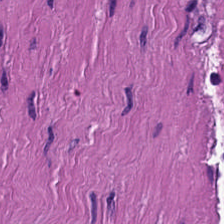H&E. Tissue class = muscularis.
